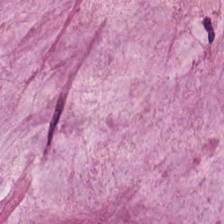H&E stain — Tissue class = mucin.
